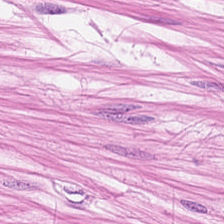Hematoxylin-and-eosin stained section — Q: What is shown in this field?
A: The field shows muscularis.
